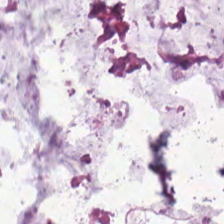H&E; 224×224 px patch.
Q: What tissue type is shown here?
A: It is mucin.
